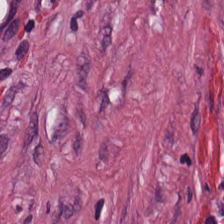The predominant tissue is cancer-associated stroma.
